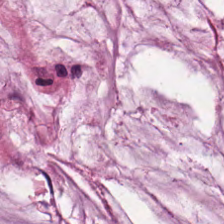Stain: H&E stain.
Classification: mucus.
